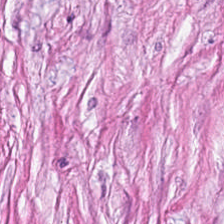224×224 px patch. FFPE tissue section. Hematoxylin and eosin. Cancer-associated stroma.
